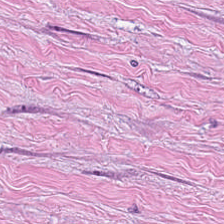H&E-stained tissue section.
Q: Identify the tissue.
A: Desmoplastic stroma.
